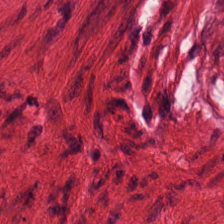H&E-stained tissue section.
Predominantly muscularis.
